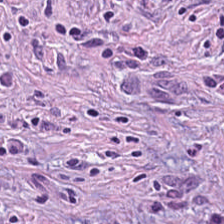Q: Identify the tissue.
A: Tumor-associated stroma.
